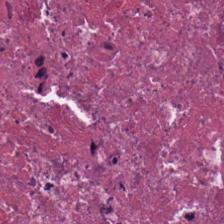H&E-stained tissue section · 0.5 µm/px — Tissue type = debris.
